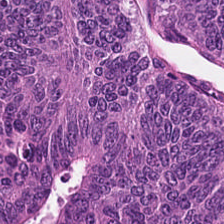Q: Classify this patch.
A: This is tumor epithelium.
